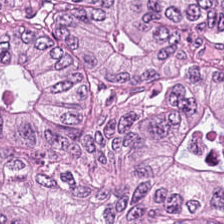Hematoxylin and eosin. Malignant epithelium.
